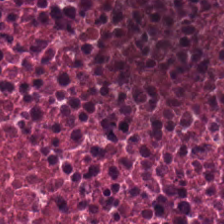H&E stain · 0.5 µm per pixel — Q: What tissue is shown?
A: It is necrotic debris.
